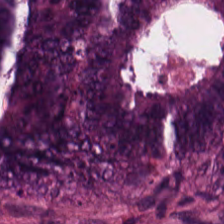Stain: H&E stain.
Classification: colorectal adenocarcinoma epithelium.
